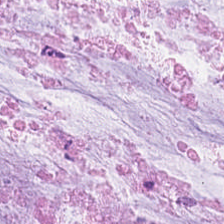Hematoxylin-and-eosin stained section.
This patch shows extracellular mucin.
